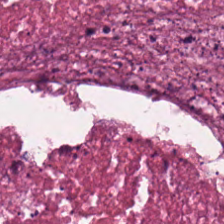20× equivalent magnification · hematoxylin-and-eosin stained section.
This field is debris.
